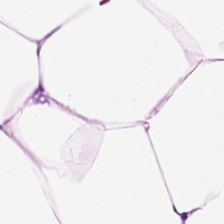H&E-stained tissue section; brightfield.
Adipose tissue.
